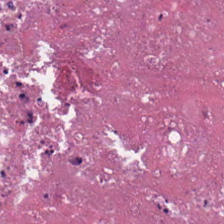H&E stain. Q: What tissue is shown?
A: The field shows cellular debris.
